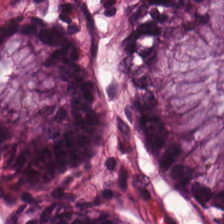Impression — non-neoplastic colon mucosa.
